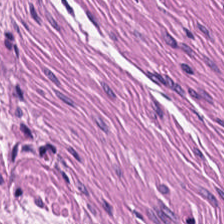The predominant tissue is smooth muscle.
